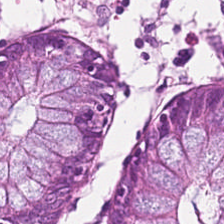Impression — normal colon mucosa.
